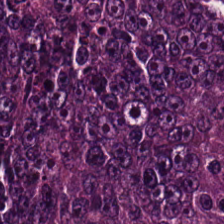Hematoxylin and eosin — This field is colorectal adenocarcinoma epithelium.
